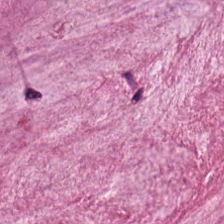H&E stain. Tissue class — extracellular mucin.
